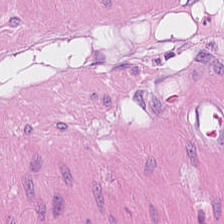H&E — Muscularis.
